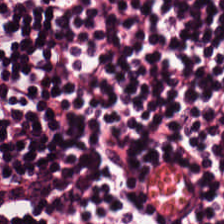H&E stain.
Finding — lymphocytic infiltrate.
